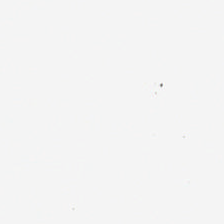0.5 microns per pixel; FFPE; hematoxylin and eosin. No tissue present; background only.
